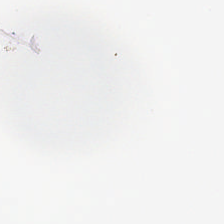Hematoxylin-and-eosin stained section · 224×224 px tile — {"content": "background"}
